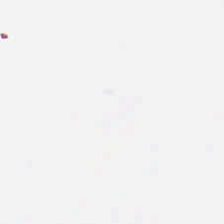FFPE tissue section. Hematoxylin and eosin — No tissue present; background only.
